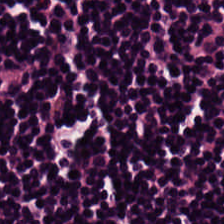Stain: H&E-stained tissue section.
Tile size: 224×224 pixel tile.
Acquisition: whole-slide-image patch.
Tissue type: lymphocytic infiltrate.
